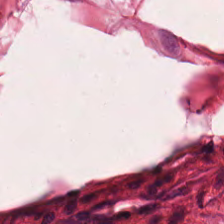Hematoxylin-and-eosin section: smooth-muscle tissue.
